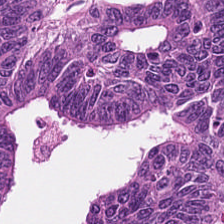Whole-slide-image patch · hematoxylin-and-eosin stained section — This field is tumor epithelium.
